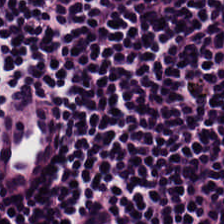Whole-slide-image patch; hematoxylin-and-eosin stained section — The tissue class is lymphocytic infiltrate.
